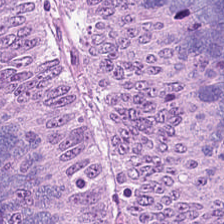Brightfield · H&E-stained tissue section · 0.5 microns per pixel. Predominantly colorectal adenocarcinoma.
